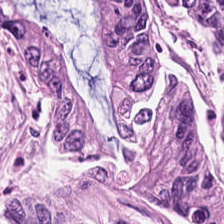Hematoxylin-and-eosin stained section · brightfield — The predominant tissue is tumor epithelium.
